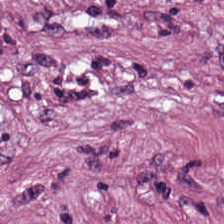Impression → desmoplastic stroma.
